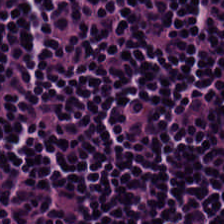H&E stain — The predominant tissue is lymphocytic infiltrate.
